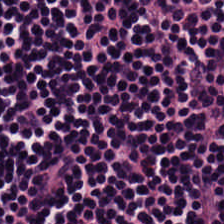Predominantly lymphoid infiltrate.
